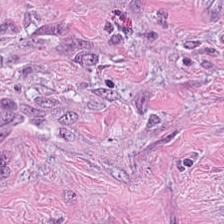Hematoxylin-and-eosin section: tumor-associated stroma.
